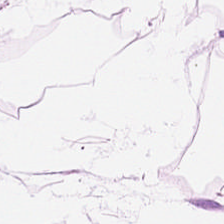FFPE. H&E — This field is fat tissue.
